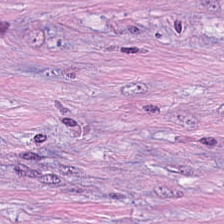H&E-stained tissue section · 224×224 pixel tile.
The tissue here is tumor-associated stroma.
